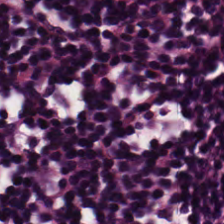H&E stain. Tissue class = lymphocytes.
